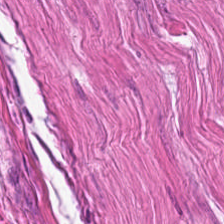Hematoxylin-and-eosin stained section — The tissue is muscularis.
